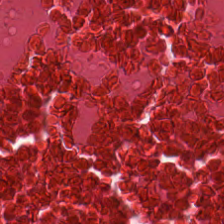Hematoxylin-and-eosin stained section.
This patch shows debris.
